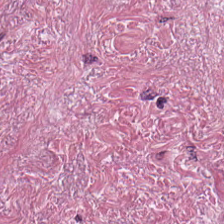Brightfield microscopy · hematoxylin-and-eosin stained section.
Q: What tissue type is shown here?
A: It is desmoplastic stroma.
